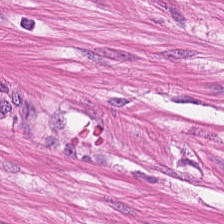224×224 px patch. H&E. This field is smooth muscle.
